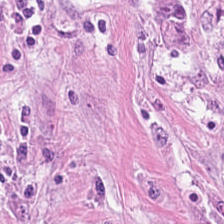This field is tumor-associated stroma.
